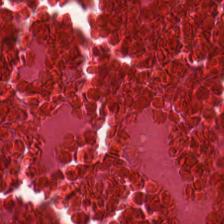Stain: hematoxylin and eosin.
Classification: necrotic debris.
